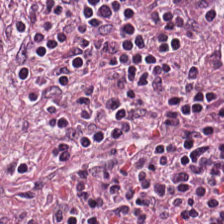H&E-stained tissue section — Histology — lymphocytic infiltrate.
